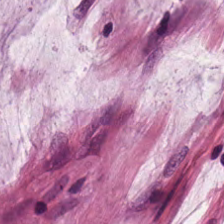H&E-stained tissue section. FFPE tissue section.
Tissue type — mucus.
